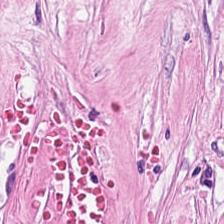0.5 µm per pixel. H&E stain. Impression — tumor stroma.
